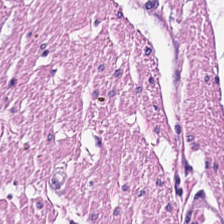Hematoxylin-and-eosin stained section. Histology → smooth muscle.
